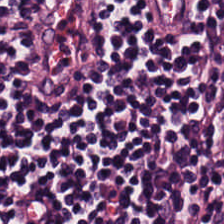The tissue here is lymphocytes.
